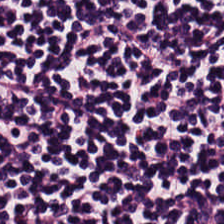H&E-stained tissue section. Whole-slide-image patch. 224×224 pixel tile. Tissue — lymphocytes.
